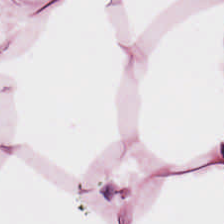H&E — Predominantly adipocytes.
